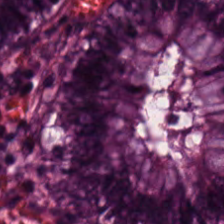H&E stain.
Tissue class — normal colon mucosa.
